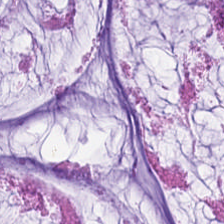Hematoxylin-and-eosin stained section. Q: What tissue is shown?
A: This is mucus.
